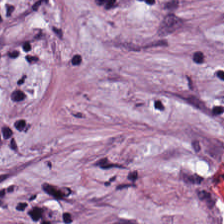Formalin-fixed paraffin-embedded section; H&E.
Classification = tumor stroma.
